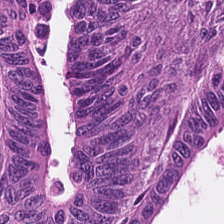224×224 px patch · hematoxylin and eosin.
Tissue = adenocarcinoma.
